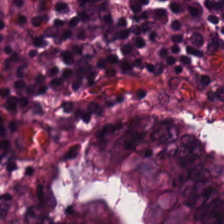Formalin-fixed paraffin-embedded section. H&E-stained tissue section.
{"tissue_type": "non-neoplastic colon mucosa"}
